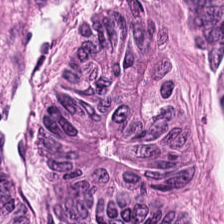Brightfield microscopy · hematoxylin and eosin. Q: What tissue is shown?
A: The field shows colorectal adenocarcinoma.
